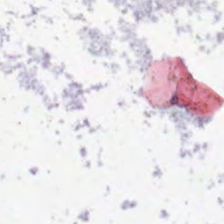Hematoxylin and eosin — Empty field — empty background.
